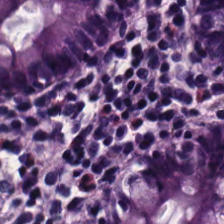H&E stain; 224×224 pixel tile. {"tissue_type": "benign colonic mucosa"}
